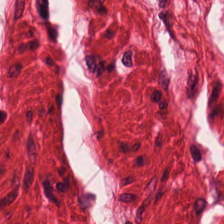Hematoxylin-and-eosin section: smooth-muscle tissue.
